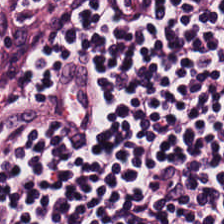Showing lymphocytes.
